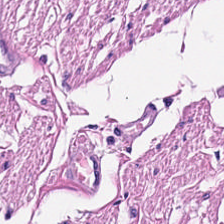Q: What is shown here?
A: This is smooth muscle.
